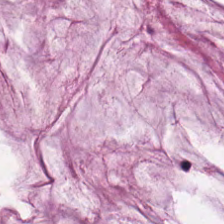224×224 px tile · H&E stain.
Showing mucin.
